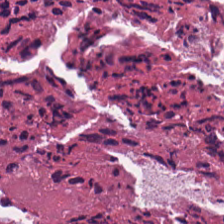Hematoxylin and eosin. 224×224 pixel tile — {"tissue_type": "debris"}
